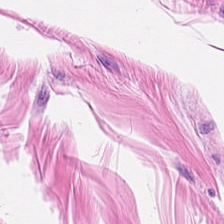224×224 px patch; hematoxylin and eosin. This field is muscularis.
